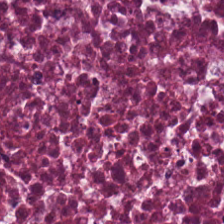Histology → necrotic debris.
